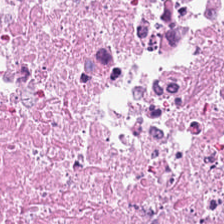Stain: H&E.
Preparation: FFPE.
Predominant tissue: cellular debris.
